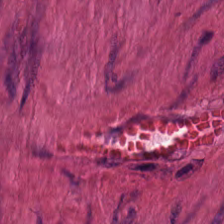224×224 px patch · H&E-stained tissue section. Tissue = muscularis.
